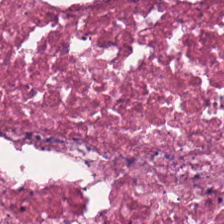H&E-stained tissue section. 0.5 µm per pixel — The predominant tissue is cellular debris.
